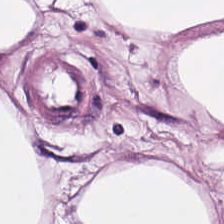{"tissue_type": "adipose"}
